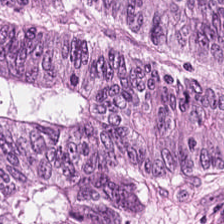Showing colorectal adenocarcinoma.
